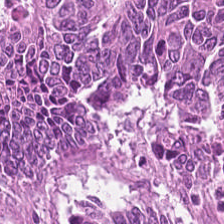Hematoxylin and eosin. This field is tumor epithelium.
